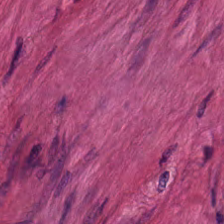H&E-stained tissue section · brightfield — Predominant tissue = smooth-muscle tissue.
